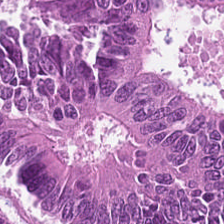Hematoxylin-and-eosin stained section.
The predominant tissue is adenocarcinoma.
